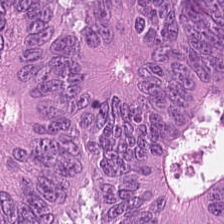The predominant tissue is adenocarcinoma.
